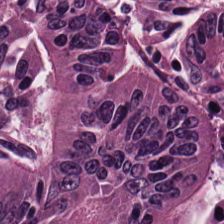Hematoxylin-and-eosin stained section. FFPE tissue section. Tissue = tumor epithelium.
